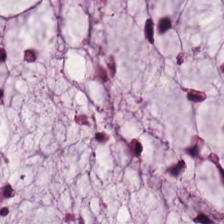Hematoxylin and eosin — Predominantly mucus.
